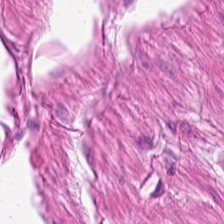Formalin-fixed paraffin-embedded section; 224×224 px tile; hematoxylin-and-eosin stained section.
Impression → muscularis.
